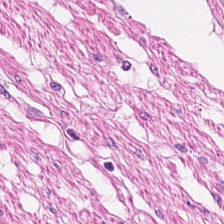Stain: hematoxylin-and-eosin stained section.
Tissue: smooth-muscle tissue.
